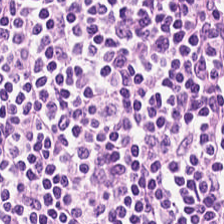H&E stain. Tissue: lymphocyte aggregate.
